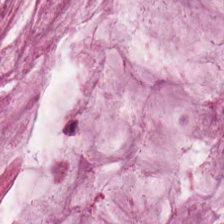H&E-stained tissue section · formalin-fixed paraffin-embedded section — Q: What is shown in this field?
A: This is mucus.
